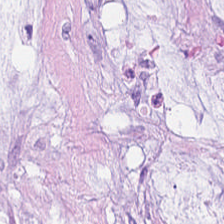H&E. 0.5 microns per pixel. The predominant tissue is mucin.
